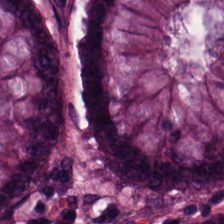H&E; FFPE tissue section; WSI patch.
Tissue class — benign colonic mucosa.
